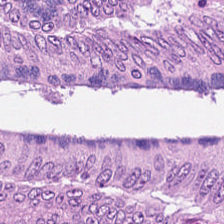Brightfield; H&E-stained tissue section — Impression → tumor epithelium.
